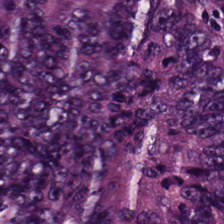H&E · 0.5 µm/px.
Tissue class — tumor epithelium.
